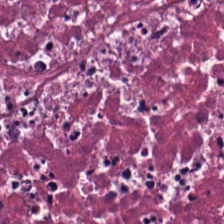H&E. FFPE. The tissue here is debris.
